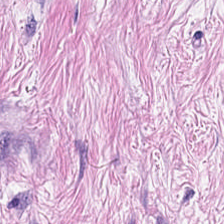Stain: hematoxylin and eosin.
Acquisition: brightfield microscopy.
Tissue type: desmoplastic stroma.
